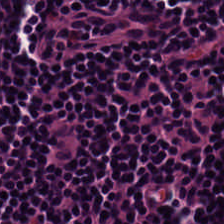Stain: H&E-stained tissue section.
Predominant tissue: lymphocyte aggregate.
